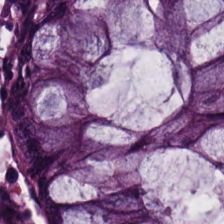Stain: H&E-stained tissue section.
Resolution: 20× equivalent magnification.
Predominant tissue: non-neoplastic colon mucosa.
